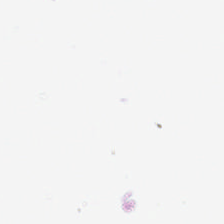H&E-stained tissue section.
Histology — empty background.
